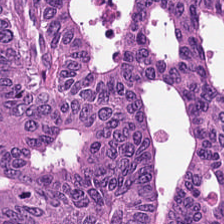H&E stain — The predominant tissue is adenocarcinoma.
